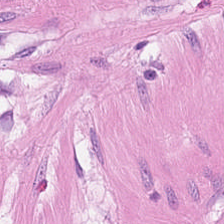H&E — Histology → smooth muscle.
